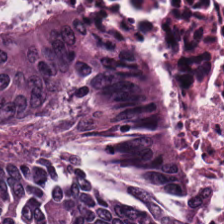{"tissue_type": "tumor epithelium"}
